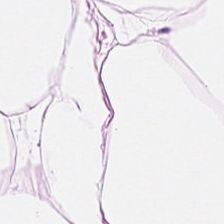Hematoxylin and eosin. Q: What tissue type is shown here?
A: It is adipose.
